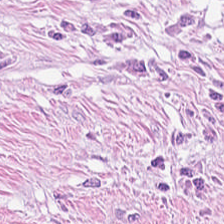Hematoxylin-and-eosin stained section — Q: What tissue is shown?
A: It is desmoplastic stroma.
